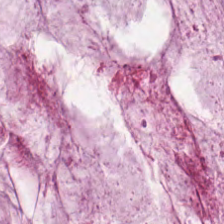Hematoxylin and eosin — The predominant tissue is mucus.
